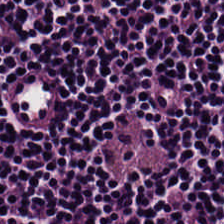H&E-stained tissue section showing lymphocyte aggregate.
